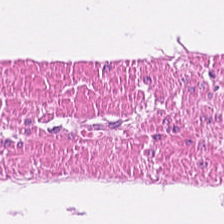H&E.
The predominant tissue is smooth muscle.
